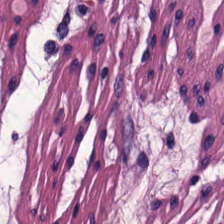Formalin-fixed paraffin-embedded section · hematoxylin-and-eosin stained section. Q: Identify the tissue.
A: The field shows smooth-muscle tissue.
